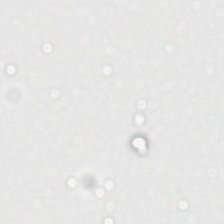H&E. This field is background (no tissue).
